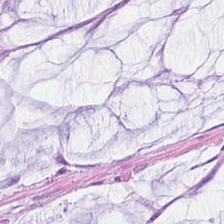Hematoxylin-and-eosin stained section — Tissue class — extracellular mucin.
